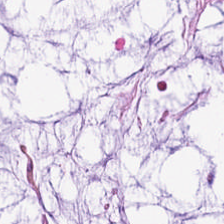Stain: H&E stain.
Predominant tissue: mucus.
